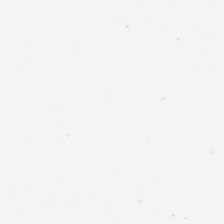Impression → background.
